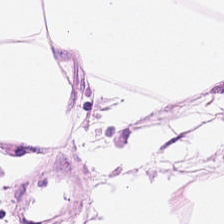Q: What tissue is shown?
A: This is adipose.
